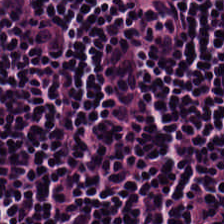H&E. This patch shows lymphoid infiltrate.
